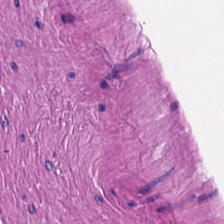Hematoxylin-and-eosin stained section — Predominantly smooth-muscle tissue.
